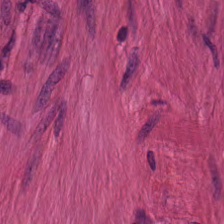H&E; 224×224 px tile. This patch shows smooth muscle.
